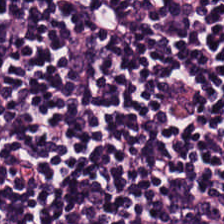Stain: hematoxylin-and-eosin stained section.
Predominant tissue: lymphocytes.
